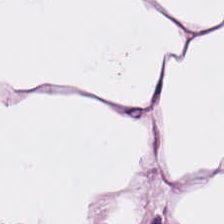Showing adipose tissue.
